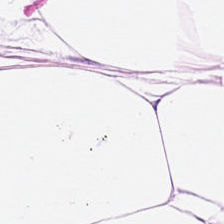H&E.
Finding — adipose tissue.
